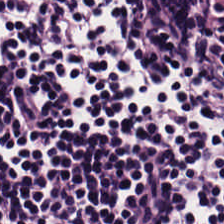H&E. Q: What tissue is shown?
A: Lymphocytic infiltrate.
